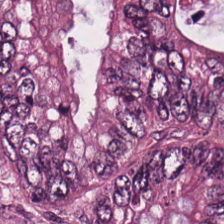H&E-stained tissue section showing colorectal adenocarcinoma.
